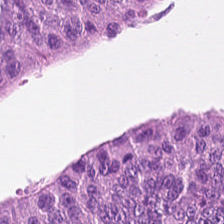FFPE; H&E. Q: What does this patch show?
A: This is colorectal adenocarcinoma.
